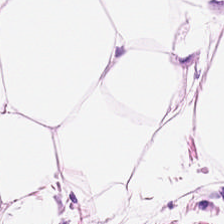FFPE. H&E — The predominant tissue is adipose.
